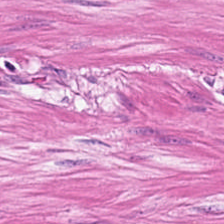H&E-stained tissue section; 0.5 µm per pixel.
Predominant tissue = muscularis.
